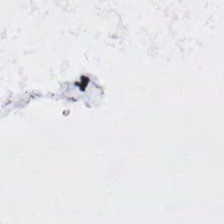Hematoxylin and eosin.
Impression → background (no tissue).
